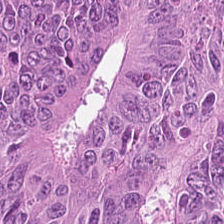H&E stain; 224×224 px patch. The predominant tissue is colorectal adenocarcinoma.
